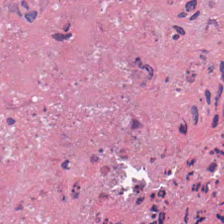Stain: H&E stain.
Acquisition: brightfield microscopy.
Resolution: 20× equivalent magnification.
Predominant tissue: cellular debris.
